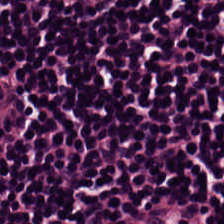Impression → lymphoid infiltrate.
